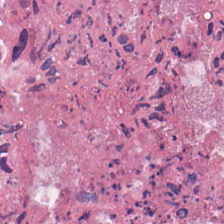Hematoxylin and eosin.
This field is necrotic debris.
